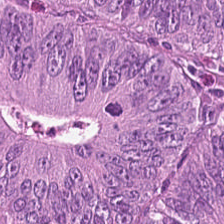FFPE tissue section; H&E.
The tissue here is colorectal adenocarcinoma epithelium.
